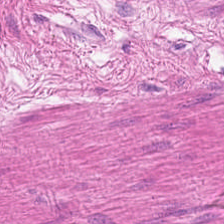H&E; 224×224 px patch.
Tissue type — muscularis.
